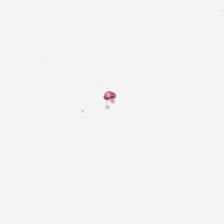Content: empty background.
